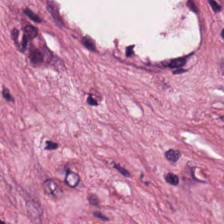224×224 px patch · 0.5 µm per pixel · hematoxylin and eosin.
The tissue type is tumor-associated stroma.
